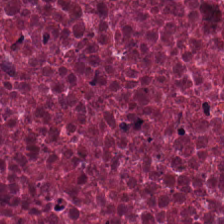FFPE · H&E stain — Histology — debris.
